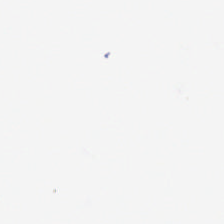H&E. The content is background (no tissue).
